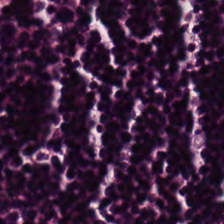Hematoxylin and eosin. FFPE tissue section — Impression — lymphocytes.
